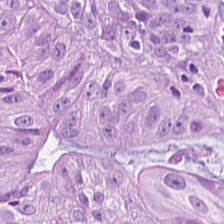H&E stain; 224×224 px patch. Predominantly adenocarcinoma.
